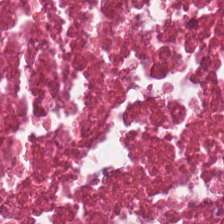Stain: H&E-stained tissue section.
Predominant tissue: cellular debris.
